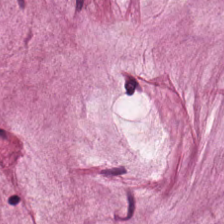H&E-stained tissue section.
Predominant tissue — mucus.
